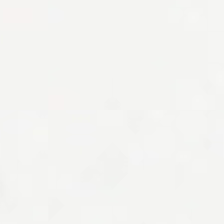No tissue present; background only.
